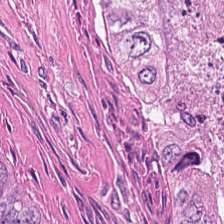The predominant tissue is cellular debris.
